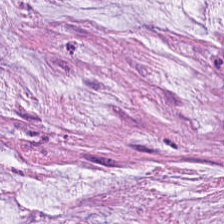Classification = mucus.
